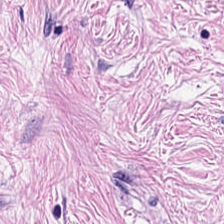Stain: H&E stain.
Tissue: tumor stroma.
